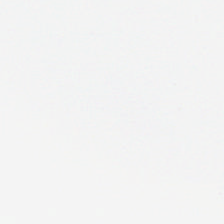H&E stain — Q: What is shown here?
A: Background (no tissue).
